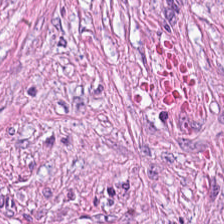H&E.
Showing desmoplastic stroma.
